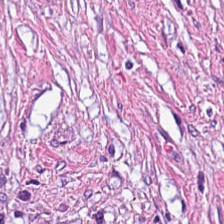H&E.
The predominant tissue is desmoplastic stroma.
